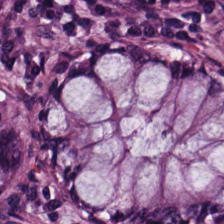Hematoxylin and eosin. Formalin-fixed paraffin-embedded section. Q: What type of tissue is this?
A: This is normal colonic mucosa.
